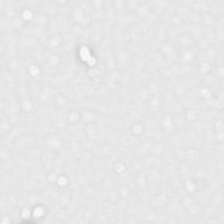Stain: H&E-stained tissue section.
Field content: no tissue.
